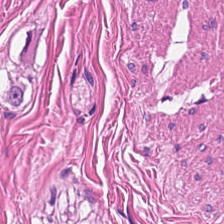224×224 px tile. 20× equivalent magnification. H&E. Finding — muscularis.
